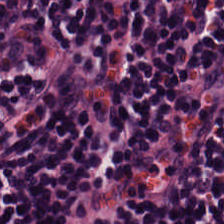H&E-stained tissue section showing lymphocyte aggregate.
